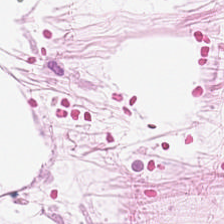H&E-stained tissue section; brightfield.
Q: Classify this patch.
A: The field shows adipose tissue.
